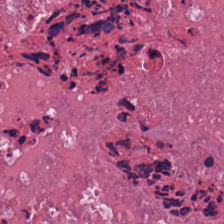Hematoxylin-and-eosin stained section — Predominantly necrotic debris.
